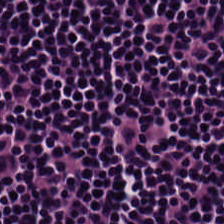H&E-stained tissue section. Tissue: lymphoid infiltrate.
